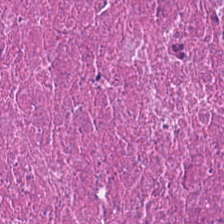H&E-stained tissue section · 224×224 px patch · FFPE — Necrotic debris.
